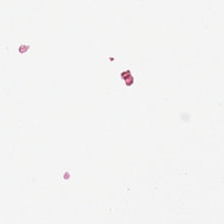224×224 px tile; H&E-stained tissue section; 0.5 µm per pixel.
This field is background (no tissue).
